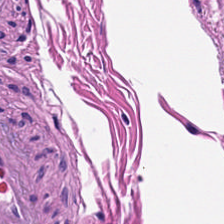Hematoxylin-and-eosin stained section · brightfield microscopy · formalin-fixed paraffin-embedded section.
This patch shows smooth-muscle tissue.
